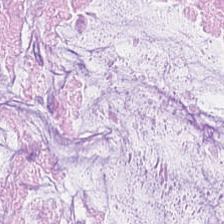Hematoxylin-and-eosin stained section · FFPE.
Q: What tissue type is shown here?
A: It is extracellular mucin.
